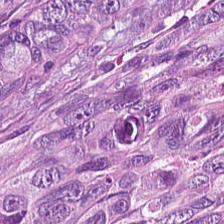0.5 microns per pixel. H&E stain. Predominantly colorectal adenocarcinoma epithelium.
